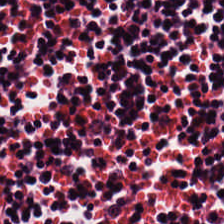This patch shows lymphocyte aggregate.
